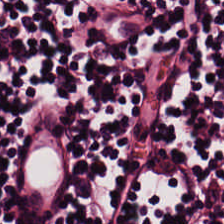The tissue is lymphoid infiltrate.
